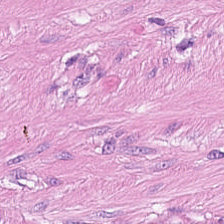H&E — Classification: smooth muscle.
